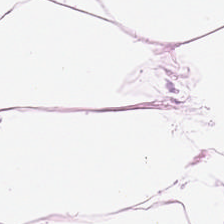H&E-stained tissue section. This patch shows adipocytes.
